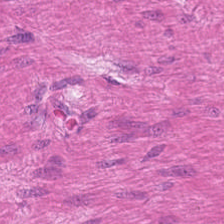Tissue: smooth muscle.
